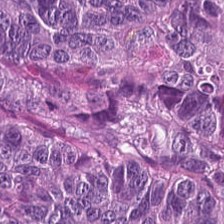Hematoxylin and eosin · 224×224 pixel tile — Q: What is shown here?
A: The field shows colorectal adenocarcinoma epithelium.
